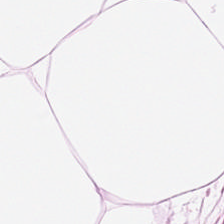Stain: hematoxylin and eosin.
Tissue type: adipose.
